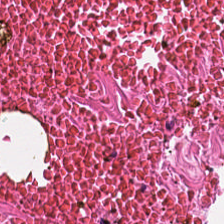H&E. Q: What tissue type is shown here?
A: The field shows necrotic debris.
